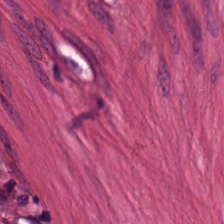224×224 px tile · hematoxylin and eosin.
Tissue: smooth-muscle tissue.
